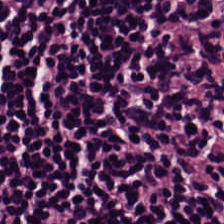H&E stain; FFPE.
Tissue type — lymphoid infiltrate.
